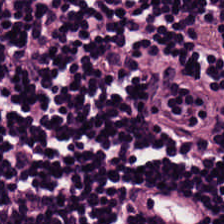H&E stain — Histology → lymphocytes.
